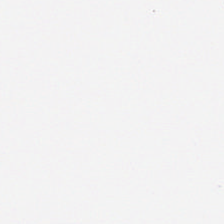The classification is background.
